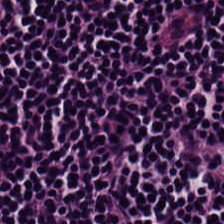H&E stain · 224×224 pixel tile · 0.5 microns per pixel.
The predominant tissue is lymphoid infiltrate.
